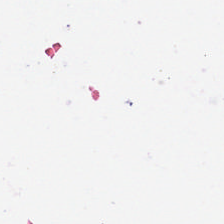Stain: H&E-stained tissue section.
Classification: background.
